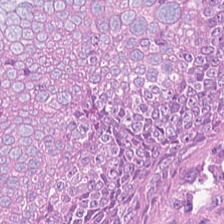H&E.
Finding — adenocarcinoma.
